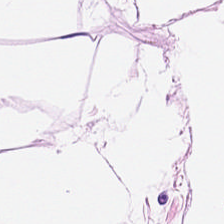Hematoxylin and eosin.
Impression → adipose tissue.
